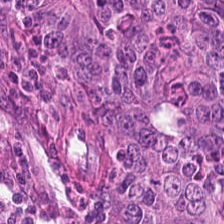Hematoxylin and eosin — This field is tumor epithelium.
